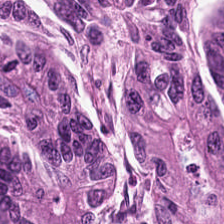H&E stain — {"tissue_type": "adenocarcinoma"}
